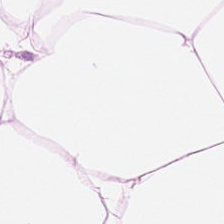H&E — Showing adipose.
